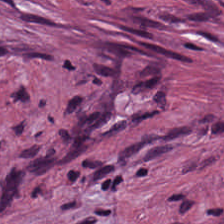This patch shows cancer-associated stroma.
